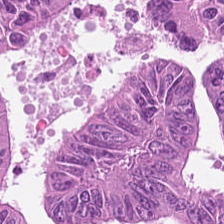H&E-stained tissue section — Predominantly colorectal adenocarcinoma epithelium.
